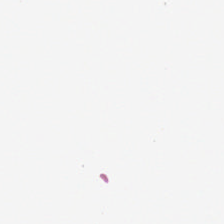H&E.
The classification is background.
